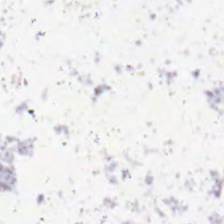No tissue present; background only.
